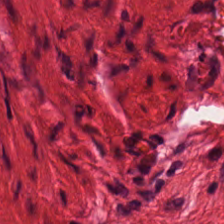Hematoxylin-and-eosin stained section · FFPE.
Predominant tissue — smooth muscle.
